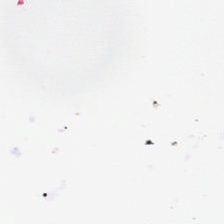Hematoxylin-and-eosin stained section. The content is no tissue.
